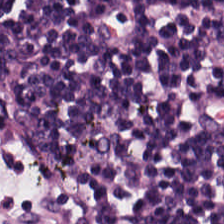H&E-stained tissue section — Tissue type = lymphoid infiltrate.
